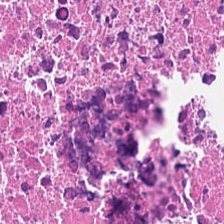Necrotic debris.
